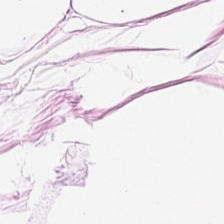0.5 microns per pixel; H&E-stained tissue section; formalin-fixed paraffin-embedded section.
Predominant tissue — adipose.
